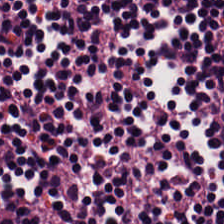Hematoxylin and eosin. 20× equivalent magnification.
This patch shows lymphocytic infiltrate.
